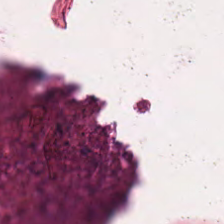Whole-slide-image patch. Hematoxylin and eosin. Debris.
